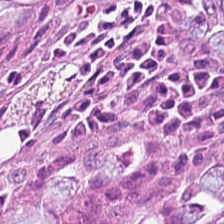FFPE tissue section. H&E-stained tissue section. 0.5 microns per pixel — {"tissue_type": "normal colon mucosa"}
